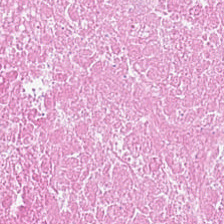H&E stain — Q: What does this patch show?
A: Debris.
